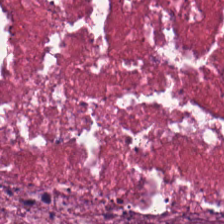Hematoxylin-and-eosin stained section. 224×224 pixel tile. FFPE tissue section. Predominant tissue = necrotic debris.
